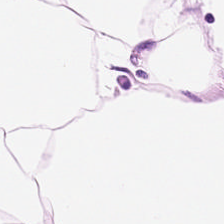Hematoxylin and eosin.
This patch shows adipocytes.
